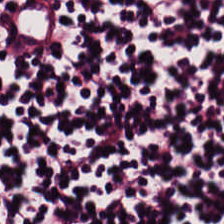H&E-stained tissue section. Predominantly lymphocytes.
